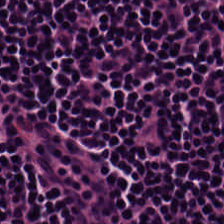Q: What does this patch show?
A: It is lymphocytic infiltrate.
